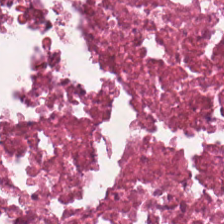Debris.
